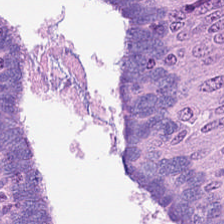Stain: hematoxylin-and-eosin stained section.
Tissue type: tumor epithelium.
